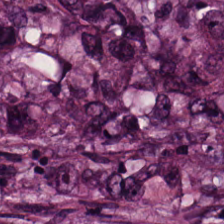Hematoxylin and eosin.
The classification is tumor epithelium.
